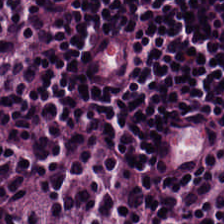The predominant tissue is lymphocytic infiltrate.
